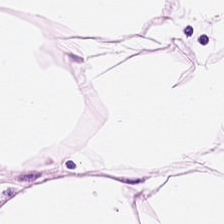H&E stain — Tissue type = adipose tissue.
